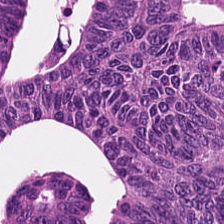Hematoxylin and eosin. Predominantly malignant epithelium.
